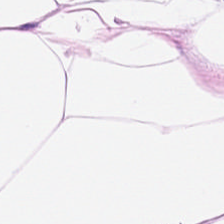Hematoxylin and eosin — This field is adipose tissue.
